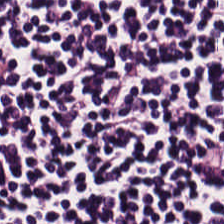H&E stain. 224×224 px patch. Formalin-fixed paraffin-embedded section.
This patch shows lymphocytic infiltrate.
